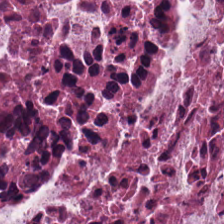H&E. 224×224 px patch — Impression → necrotic debris.
